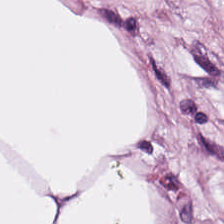224×224 px patch. Hematoxylin and eosin.
Tissue class = fat tissue.
